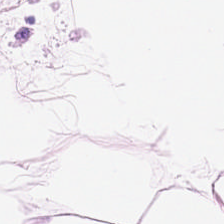Histology → adipose.
